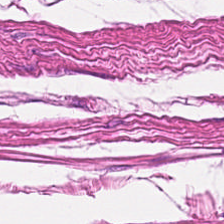H&E stain.
Tissue class = smooth-muscle tissue.
